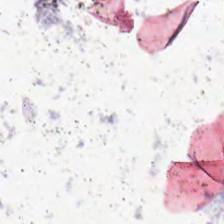Stain: hematoxylin-and-eosin stained section.
Classification: no tissue.
